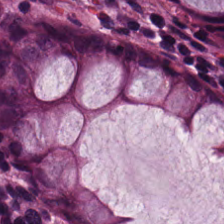Hematoxylin and eosin — This patch shows normal colon mucosa.
